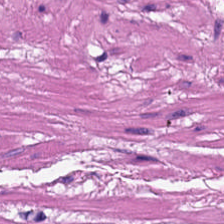Stain: hematoxylin and eosin.
Resolution: 20× equivalent magnification.
Tile size: 224×224 pixel tile.
Predominant tissue: muscularis.
